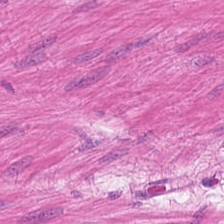H&E-stained tissue section. Q: Identify the tissue.
A: Muscularis.
